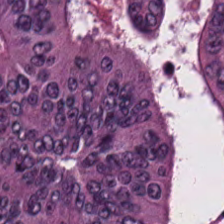H&E-stained tissue section showing tumor epithelium.
